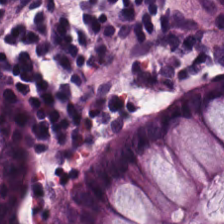H&E stain.
Normal colon mucosa.
